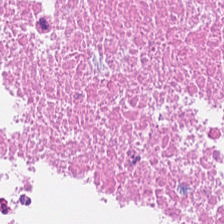Stain: H&E.
Tile size: 224×224 pixel tile.
Classification: cellular debris.
